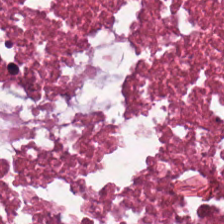Stain: H&E.
Acquisition: brightfield.
Tissue type: necrotic debris.
